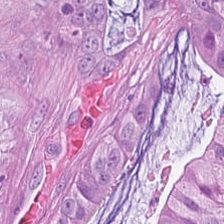Tissue type = adenocarcinoma.
